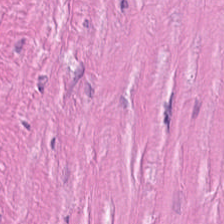Hematoxylin and eosin.
This patch shows tumor stroma.
